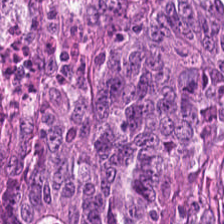H&E · FFPE. This field is malignant epithelium.
